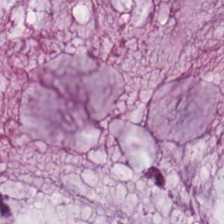20× equivalent magnification. H&E stain. Extracellular mucin.
